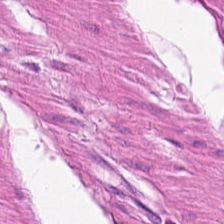Finding — muscularis.
